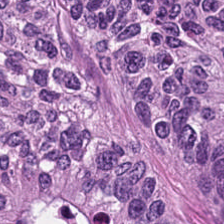Hematoxylin and eosin. Finding → colorectal adenocarcinoma epithelium.
